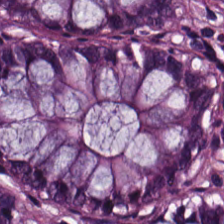Stain: hematoxylin and eosin.
Resolution: 20× equivalent magnification.
Predominant tissue: non-neoplastic colon mucosa.
